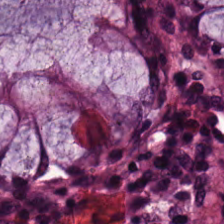H&E-stained tissue section; whole-slide-image patch; FFPE tissue section. Normal colon mucosa.
